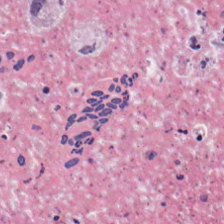Formalin-fixed paraffin-embedded section; 0.5 µm/px; hematoxylin and eosin.
Predominant tissue — cellular debris.
